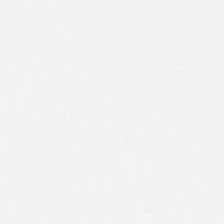0.5 µm/px. Hematoxylin and eosin. Brightfield microscopy. Q: What is shown in this field?
A: This is empty background.
